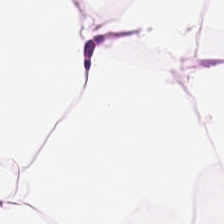H&E stain; 224×224 px tile — The tissue is adipose.
